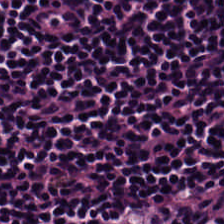H&E — lymphocytic infiltrate.
